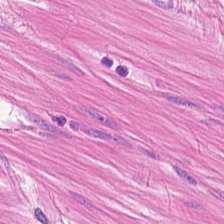H&E stain · 0.5 microns per pixel. Tissue: smooth muscle.
